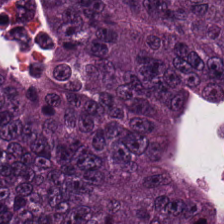Tissue type: colorectal adenocarcinoma epithelium.
